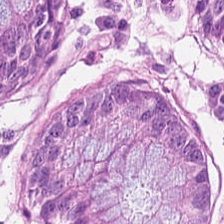This field is non-neoplastic colon mucosa.
